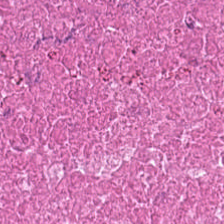H&E stain — The tissue here is necrotic debris.
